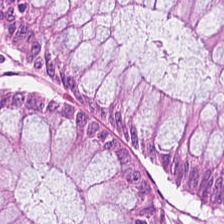This patch shows benign colonic mucosa.
